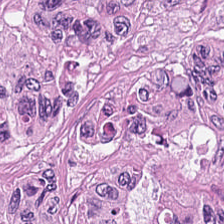Hematoxylin-and-eosin stained section — Tissue type — colorectal adenocarcinoma epithelium.
